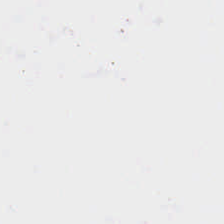H&E · 0.5 µm per pixel. Empty background.
